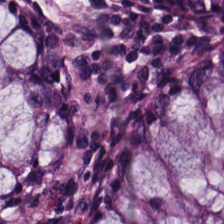FFPE. H&E-stained tissue section. 224×224 pixel tile — Predominantly benign colonic mucosa.
